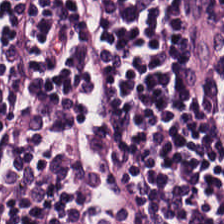This patch shows lymphocytic infiltrate.
